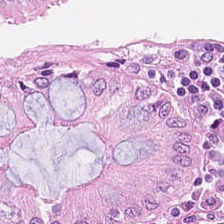Stain: H&E stain.
Resolution: 0.5 microns per pixel.
Classification: benign colonic mucosa.
